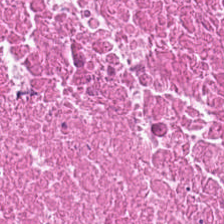H&E stain. Tissue class: necrotic debris.
